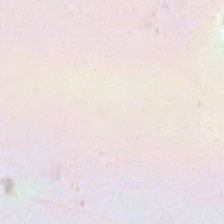Hematoxylin and eosin · 224×224 pixel tile. No tissue present; background only.
